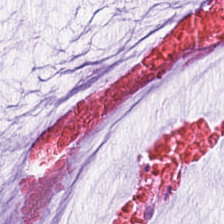Tissue: extracellular mucin.
